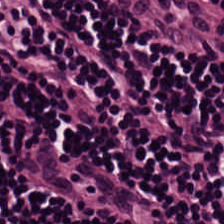Hematoxylin-and-eosin stained section; 0.5 microns per pixel; brightfield. Tissue class = lymphocytes.
